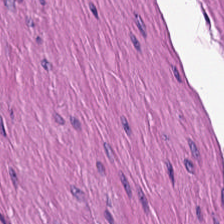0.5 microns per pixel; brightfield microscopy; H&E.
This patch shows smooth-muscle tissue.
